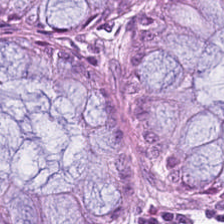H&E. {"tissue_type": "benign colonic mucosa"}
